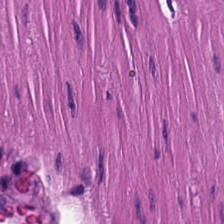H&E-stained tissue section.
Q: What type of tissue is this?
A: It is muscularis.
